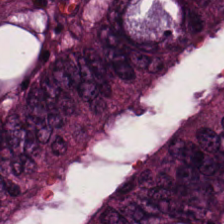H&E.
Tissue class = tumor epithelium.
